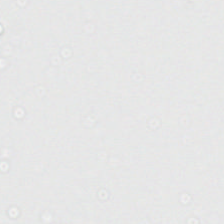Stain: H&E stain.
Content: background.
